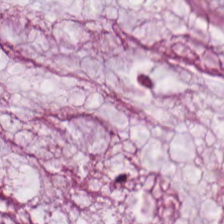Hematoxylin-and-eosin stained section — Histology — mucin.
